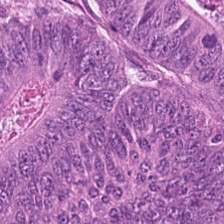Hematoxylin and eosin.
Colorectal adenocarcinoma epithelium.
